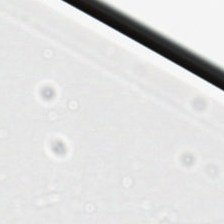H&E stain — Background — no tissue in this field.
